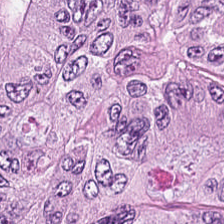Stain: hematoxylin and eosin.
Preparation: formalin-fixed paraffin-embedded section.
Predominant tissue: malignant epithelium.
